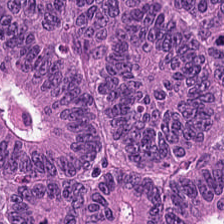H&E stain — Showing colorectal adenocarcinoma epithelium.
